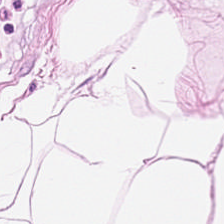H&E stain · 0.5 µm/px.
The tissue type is adipose.
